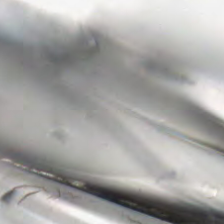Q: What does this patch show?
A: The field shows background.
